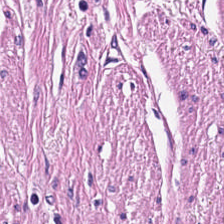Stain: hematoxylin-and-eosin stained section.
Tile size: 224×224 pixel tile.
Predominant tissue: smooth-muscle tissue.
